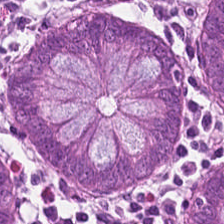224×224 px tile; H&E — The predominant tissue is non-neoplastic colon mucosa.
